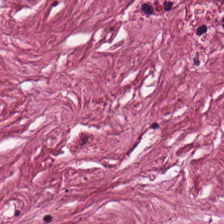H&E stain — Tissue class — cancer-associated stroma.
